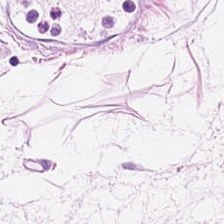WSI patch; hematoxylin-and-eosin stained section — This field is fat tissue.
